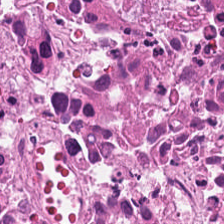H&E-stained tissue section. 0.5 µm per pixel. 224×224 px patch — Tissue class = necrotic debris.
